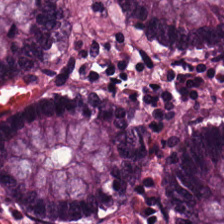Non-neoplastic colon mucosa.
